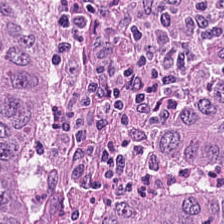Stain: hematoxylin-and-eosin stained section.
Tissue type: malignant epithelium.
